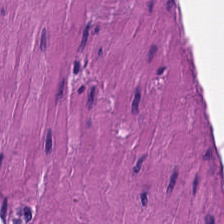This patch shows smooth muscle.
